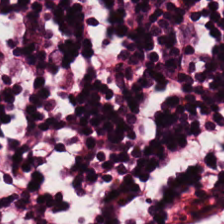Stain: hematoxylin-and-eosin stained section.
Predominant tissue: lymphocytic infiltrate.
